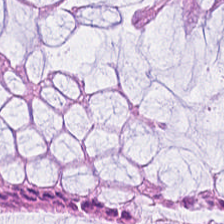Hematoxylin and eosin; FFPE.
Tissue = non-neoplastic colon mucosa.
